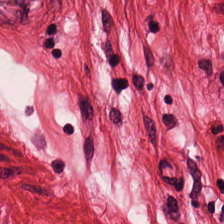Stain: hematoxylin and eosin.
Tissue: smooth-muscle tissue.
